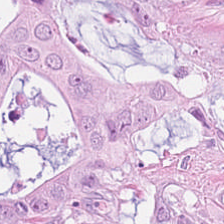WSI patch · hematoxylin-and-eosin stained section.
Showing malignant epithelium.
